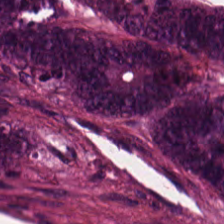FFPE tissue section. H&E-stained tissue section.
Classification — colorectal adenocarcinoma.
